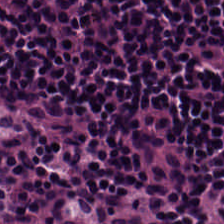H&E.
{"tissue_type": "lymphocytes"}
